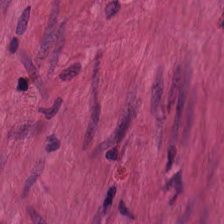20× equivalent magnification. H&E-stained tissue section. WSI patch.
The tissue here is muscularis.
